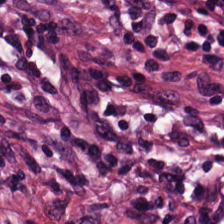H&E stain; formalin-fixed paraffin-embedded section; 20× equivalent magnification.
Predominant tissue — cancer-associated stroma.
